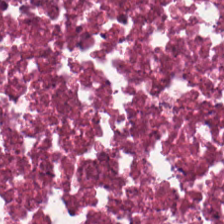Hematoxylin-and-eosin section: debris.
